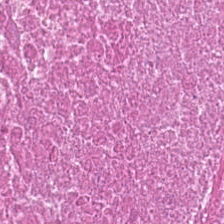20× equivalent magnification. H&E stain. Formalin-fixed paraffin-embedded section. {"tissue_type": "necrotic debris"}
